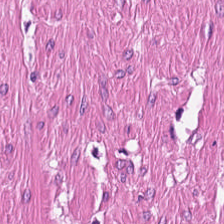H&E stain. 224×224 px patch. 0.5 µm per pixel.
Tissue type: muscularis.
